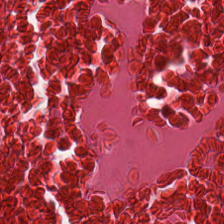Hematoxylin and eosin. Q: What is the predominant tissue type?
A: It is debris.
